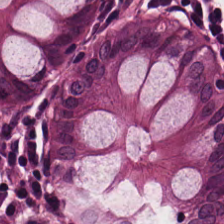The predominant tissue is normal colon mucosa.
